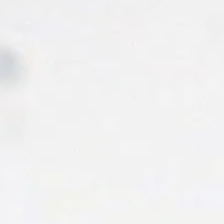H&E — Impression — background.
